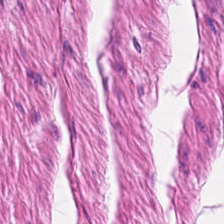0.5 µm/px · H&E stain.
The tissue is smooth-muscle tissue.
